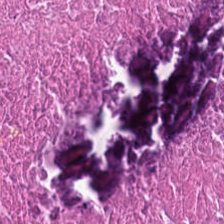WSI patch. Hematoxylin-and-eosin stained section. 224×224 pixel tile. Tissue — necrotic debris.
